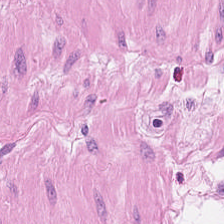Stain: hematoxylin-and-eosin stained section.
Acquisition: WSI patch.
Tile size: 224×224 px patch.
Tissue type: smooth muscle.
